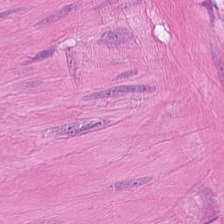0.5 µm per pixel; H&E stain.
Impression → smooth muscle.
